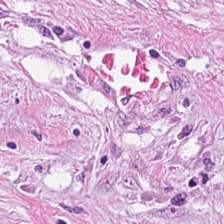H&E-stained tissue section.
Impression → cancer-associated stroma.
